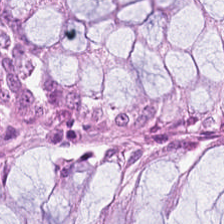H&E — Tissue class — benign colonic mucosa.
